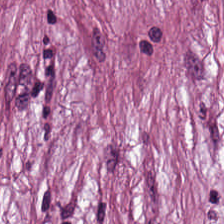224×224 px patch · hematoxylin and eosin — Tissue = tumor stroma.
